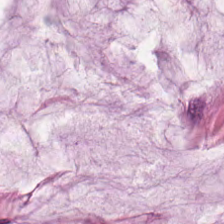{"tissue_type": "mucus"}
